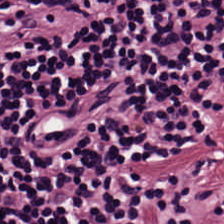H&E — Q: What is shown here?
A: It is lymphocytic infiltrate.
